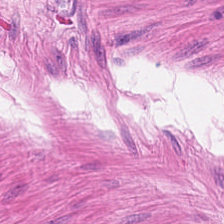H&E stain. This patch shows smooth-muscle tissue.
